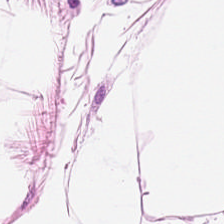224×224 pixel tile; H&E.
This patch shows adipose tissue.
